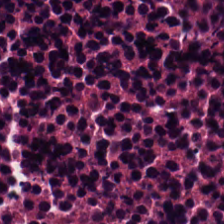H&E — Q: What tissue is shown?
A: The field shows necrotic debris.
